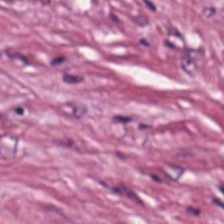Tissue class = cancer-associated stroma.
